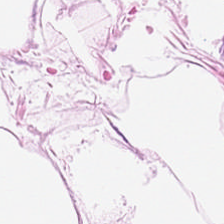0.5 microns per pixel · H&E stain.
Q: What type of tissue is this?
A: Adipose tissue.
